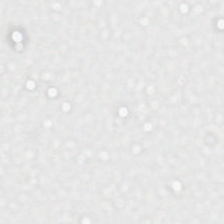H&E stain. FFPE. 0.5 µm/px.
Empty field — background (no tissue).
